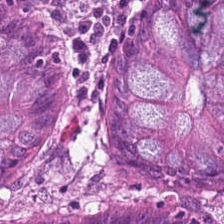Brightfield · H&E stain · FFPE tissue section — This field is non-neoplastic colon mucosa.
